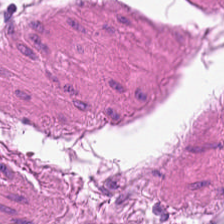WSI patch · H&E — Finding → smooth-muscle tissue.
